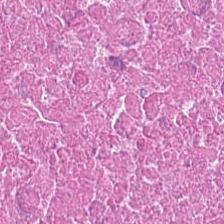Stain: H&E-stained tissue section.
Tissue class: necrotic debris.
